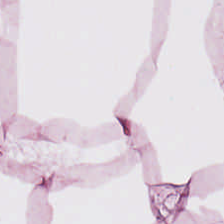FFPE tissue section · H&E stain. The tissue type is adipose.
